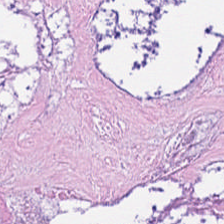Stain: hematoxylin-and-eosin stained section.
Tissue type: necrotic debris.
